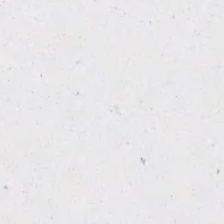Q: Classify this patch.
A: It is background.
